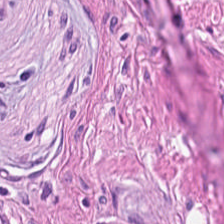Stain: hematoxylin-and-eosin stained section.
Acquisition: brightfield.
Resolution: 0.5 µm per pixel.
Tissue class: smooth-muscle tissue.
